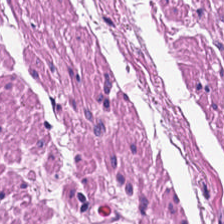H&E; 224×224 px patch; WSI patch. This field is smooth-muscle tissue.
